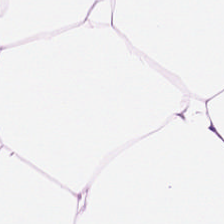Hematoxylin and eosin — {"tissue_type": "adipose tissue"}
